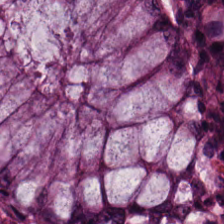224×224 pixel tile · FFPE · hematoxylin and eosin. Benign colonic mucosa.
